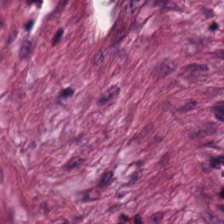Showing tumor-associated stroma.
